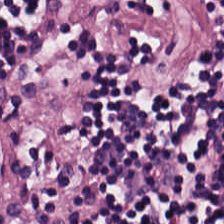Hematoxylin-and-eosin stained section · brightfield microscopy · FFPE. This patch shows lymphocytes.
